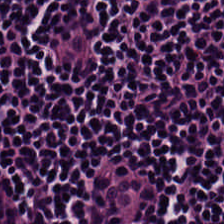Classification: lymphocyte aggregate.
